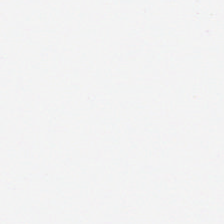H&E stain.
This patch shows background.
